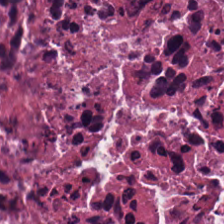H&E-stained tissue section · 224×224 px tile · FFPE tissue section.
This field is necrotic debris.
